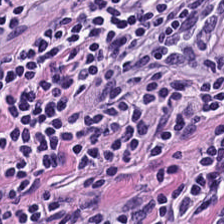Tissue class: lymphocytes.
